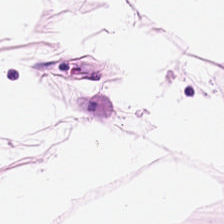Hematoxylin-and-eosin stained section — The predominant tissue is adipose.
